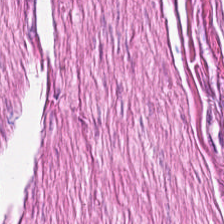FFPE. H&E-stained tissue section — Q: What tissue type is shown here?
A: Smooth muscle.
